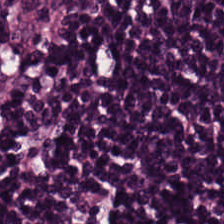Stain: hematoxylin-and-eosin stained section.
Acquisition: brightfield.
Classification: lymphocyte aggregate.
